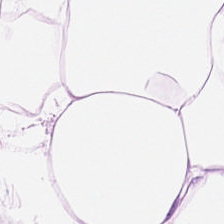Hematoxylin-and-eosin stained section — Predominantly adipose tissue.
